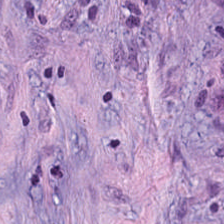H&E stain. The predominant tissue is tumor stroma.
